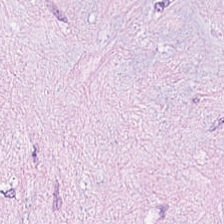FFPE; H&E stain — The classification is cancer-associated stroma.
